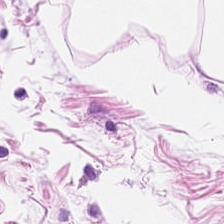H&E — This field is adipocytes.
